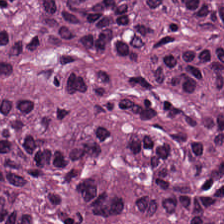H&E; formalin-fixed paraffin-embedded section; 0.5 µm per pixel — Predominantly tumor epithelium.
